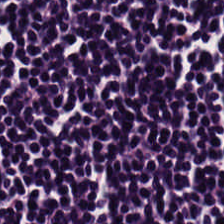Hematoxylin-and-eosin stained section.
This field is lymphoid infiltrate.
